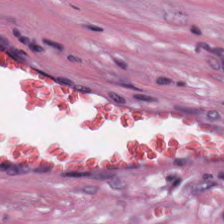H&E-stained tissue section. Predominant tissue: desmoplastic stroma.
